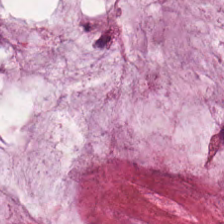Formalin-fixed paraffin-embedded section · H&E stain. The predominant tissue is extracellular mucin.
